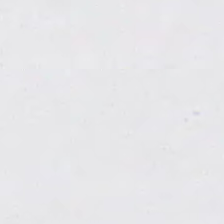Empty background.
